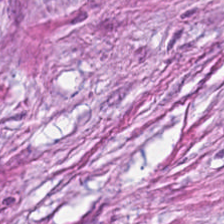224×224 px tile; H&E stain. Showing desmoplastic stroma.
